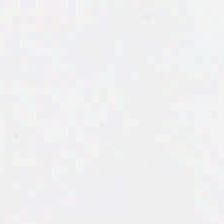Hematoxylin and eosin · FFPE tissue section · whole-slide-image patch — Field content = background (no tissue).
